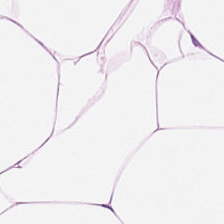Q: Classify this patch.
A: The field shows adipocytes.
